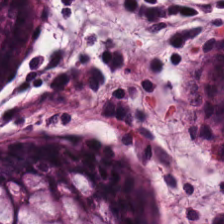224×224 pixel tile · H&E stain · 0.5 µm/px. This field is normal colonic mucosa.
